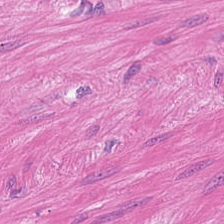Stain: H&E stain.
Resolution: 0.5 µm/px.
Tissue class: smooth muscle.
